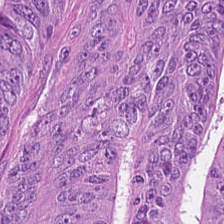Impression → adenocarcinoma.
